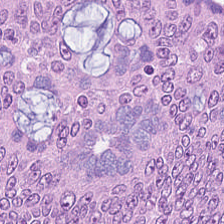H&E stain; FFPE tissue section; 0.5 µm per pixel.
Tissue class — tumor epithelium.
